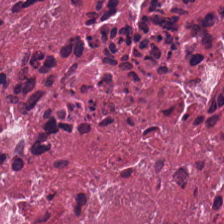Hematoxylin and eosin.
Q: What does this patch show?
A: The field shows necrotic debris.
